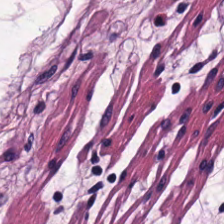Hematoxylin and eosin.
Classification — smooth muscle.
